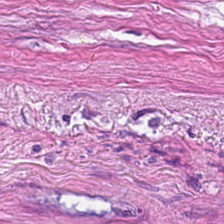{"tissue_type": "cancer-associated stroma"}
